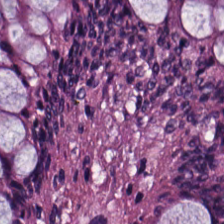The tissue type is normal colon mucosa.
